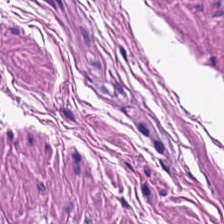FFPE. H&E stain — Tissue: smooth muscle.
